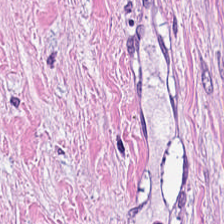Hematoxylin and eosin. FFPE tissue section.
The tissue here is cancer-associated stroma.
